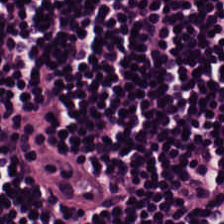H&E stain — Q: What tissue type is shown here?
A: It is lymphocytes.
